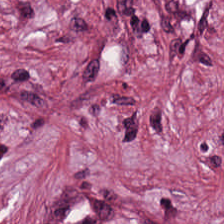H&E stain — Q: What tissue type is shown here?
A: The field shows desmoplastic stroma.
